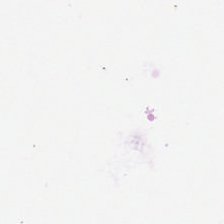H&E stain.
Background (no tissue).
